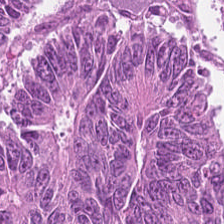H&E — The predominant tissue is malignant epithelium.
